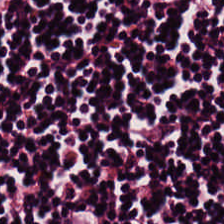Q: Classify this patch.
A: The field shows lymphocytes.
